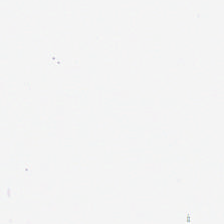0.5 µm/px; FFPE tissue section; hematoxylin and eosin. Q: Classify this patch.
A: It is background (no tissue).
